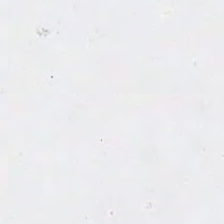Hematoxylin-and-eosin stained section.
{"content": "background"}
